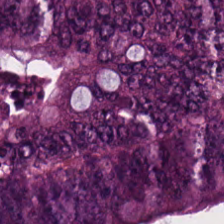Predominant tissue: colorectal adenocarcinoma.
